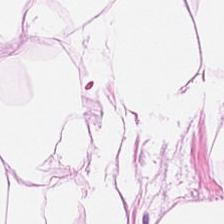Whole-slide-image patch · H&E stain — Q: What is shown in this field?
A: The field shows adipose.
